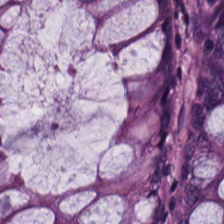H&E. 0.5 microns per pixel. 224×224 px tile — Showing non-neoplastic colon mucosa.
